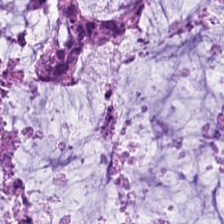H&E stain.
The tissue is mucin.
